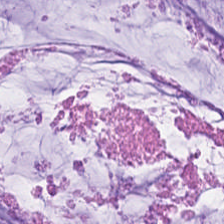H&E stain — Q: What tissue type is shown here?
A: This is mucin.
